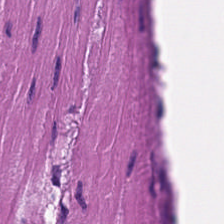Hematoxylin and eosin. Predominant tissue = smooth-muscle tissue.
